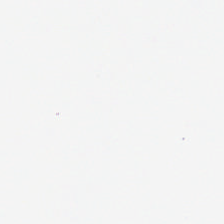224×224 px patch; H&E stain; formalin-fixed paraffin-embedded section — This field is background (no tissue).
